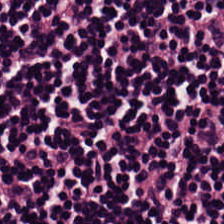Finding — lymphoid infiltrate.
